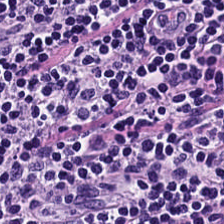H&E.
Q: What type of tissue is this?
A: Lymphocyte aggregate.
